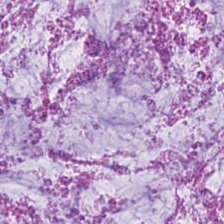FFPE; H&E stain. Extracellular mucin.
